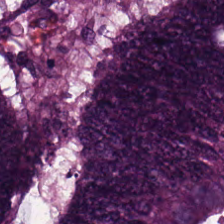H&E. This patch shows colorectal adenocarcinoma epithelium.
